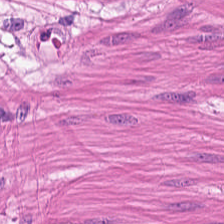Hematoxylin-and-eosin stained section — The predominant tissue is smooth muscle.
